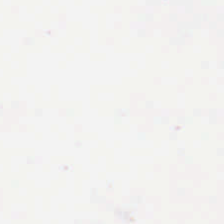Stain: H&E.
Classification: background (no tissue).
